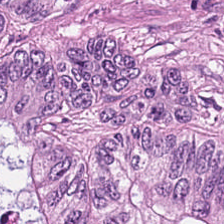Hematoxylin and eosin. Brightfield microscopy — {"tissue_type": "colorectal adenocarcinoma"}
